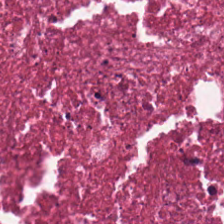H&E.
Necrotic debris.
